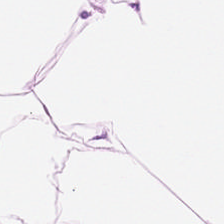Impression — adipose tissue.
